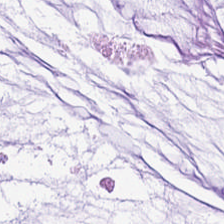H&E stain — Classification = mucus.
